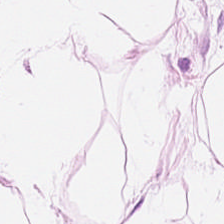Tissue: fat tissue.
